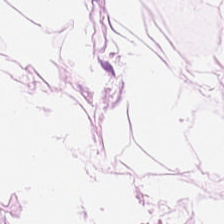0.5 microns per pixel. FFPE tissue section. H&E-stained tissue section — Adipocytes.
